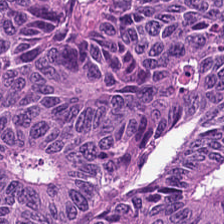FFPE; H&E-stained tissue section; whole-slide-image patch. Predominant tissue = adenocarcinoma.
